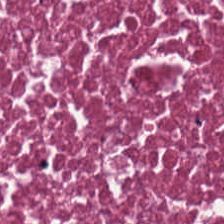Brightfield microscopy · hematoxylin and eosin — Tissue type — cellular debris.
